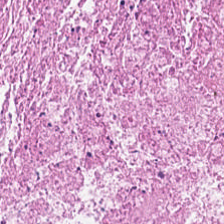H&E — Tissue class: debris.
